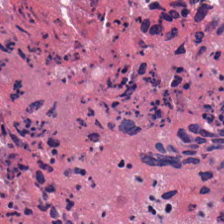Q: Classify this patch.
A: It is necrotic debris.
